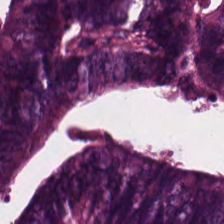Stain: H&E stain.
Tissue type: adenocarcinoma.
